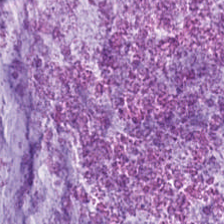H&E patch showing mucin.
